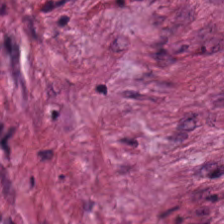H&E-stained tissue section; formalin-fixed paraffin-embedded section. Impression — tumor-associated stroma.
